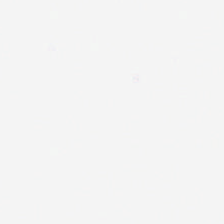H&E stain; 224×224 px patch. Background — no tissue in this field.
